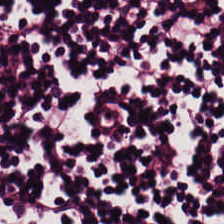Hematoxylin-and-eosin stained section. Q: What is shown in this field?
A: Lymphocytes.
